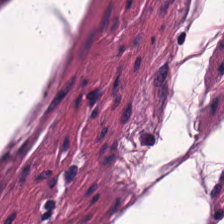0.5 microns per pixel · 224×224 px tile · H&E.
Showing muscularis.
